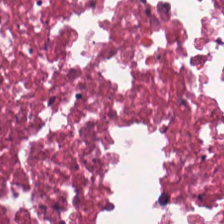Impression — cellular debris.
